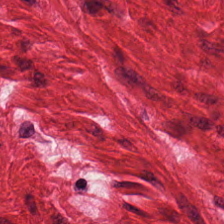Hematoxylin-and-eosin stained section.
{"tissue_type": "smooth muscle"}
